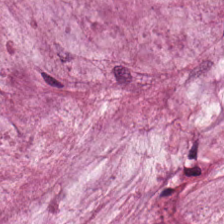Formalin-fixed paraffin-embedded section. H&E-stained tissue section — The tissue type is extracellular mucin.
